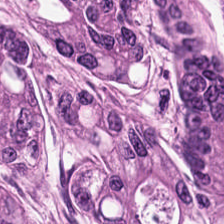Q: What type of tissue is this?
A: Tumor epithelium.
